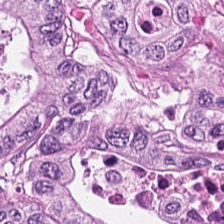Stain: hematoxylin and eosin.
Tissue type: malignant epithelium.
